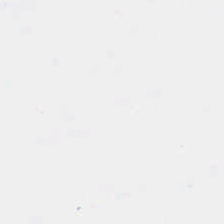Hematoxylin-and-eosin stained section.
This patch shows no tissue.
